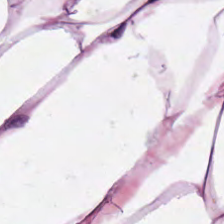Stain: H&E-stained tissue section.
Tissue type: adipose tissue.
